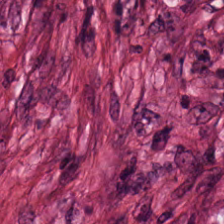H&E-stained tissue section · formalin-fixed paraffin-embedded section · brightfield microscopy — Showing cancer-associated stroma.
